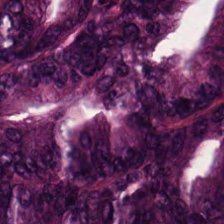Stain: hematoxylin-and-eosin stained section.
Acquisition: brightfield microscopy.
Tile size: 224×224 px tile.
Tissue class: tumor epithelium.
